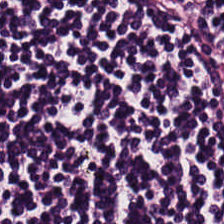The predominant tissue is lymphocytic infiltrate.
